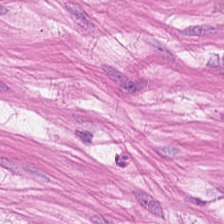Q: What tissue type is shown here?
A: Muscularis.
